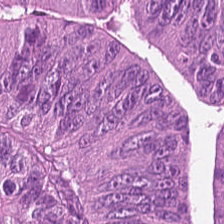H&E patch showing malignant epithelium.
